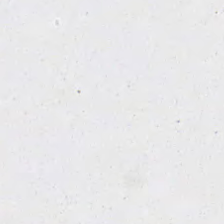H&E — Finding → background.
